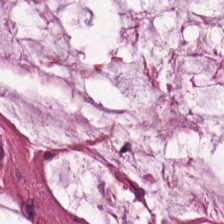H&E-stained tissue section; 224×224 px tile.
Mucus.
